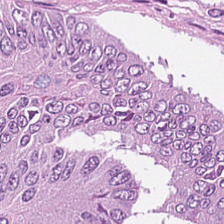FFPE tissue section · hematoxylin-and-eosin stained section. The predominant tissue is tumor epithelium.
